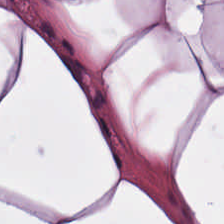H&E stain — This patch shows adipose tissue.
